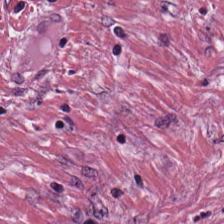H&E-stained tissue section. 20× equivalent magnification.
The tissue here is tumor stroma.
